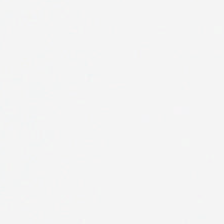Hematoxylin and eosin.
Empty field — no tissue.
